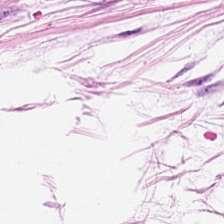Histology — adipose.
